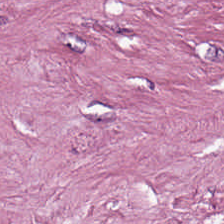H&E-stained tissue section — Tissue: cancer-associated stroma.
